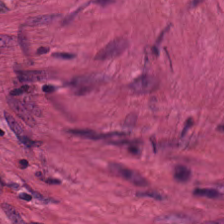H&E-stained tissue section — This field is smooth muscle.
